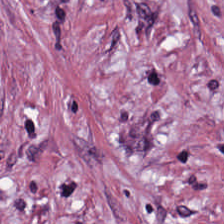Hematoxylin-and-eosin stained section — Tissue — cancer-associated stroma.
